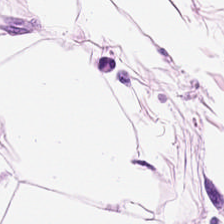H&E stain; 0.5 microns per pixel.
The tissue class is fat tissue.
